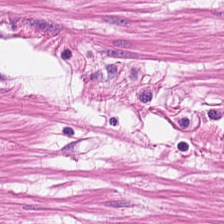Formalin-fixed paraffin-embedded section; hematoxylin and eosin — Q: What is the predominant tissue type?
A: The field shows smooth muscle.
